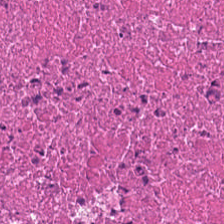Hematoxylin-and-eosin stained section.
Classification — debris.
